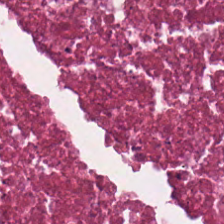H&E stain · 224×224 pixel tile.
Tissue — cellular debris.
